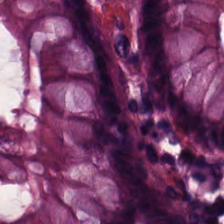H&E stain.
This field is non-neoplastic colon mucosa.
